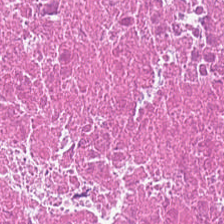20× equivalent magnification; 224×224 px tile; H&E stain.
Finding — necrotic debris.
